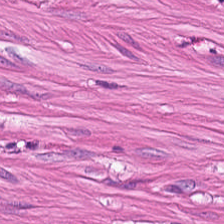Q: Identify the tissue.
A: It is smooth muscle.
